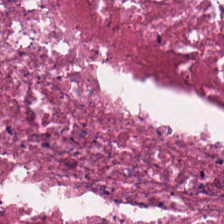0.5 microns per pixel · H&E-stained tissue section. Showing necrotic debris.
